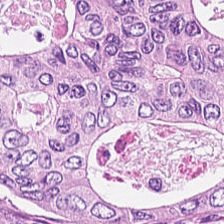H&E-stained tissue section; FFPE tissue section.
{"tissue_type": "malignant epithelium"}
